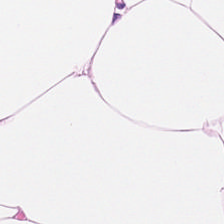H&E-stained tissue section.
Tissue type — adipose.
